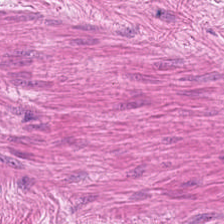Stain: H&E stain.
Tissue: smooth muscle.
